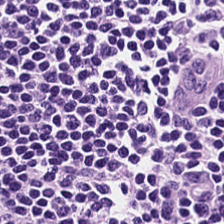Stain: hematoxylin and eosin.
Tile size: 224×224 px patch.
Acquisition: WSI patch.
Classification: lymphocyte aggregate.
